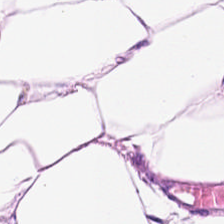Predominant tissue: fat tissue.
